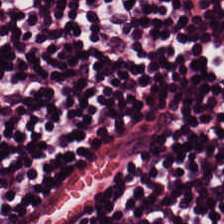Stain: H&E stain.
Preparation: formalin-fixed paraffin-embedded section.
Tissue: lymphocytes.
